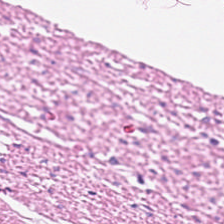0.5 microns per pixel. H&E stain. Formalin-fixed paraffin-embedded section — Showing muscularis.
